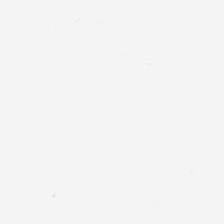H&E.
Finding — no tissue.
